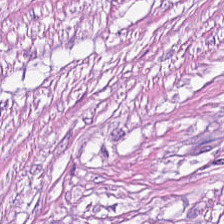H&E stain — Predominantly tumor stroma.
